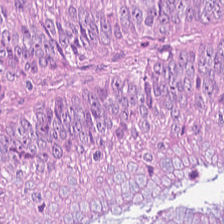H&E. This patch shows tumor epithelium.
